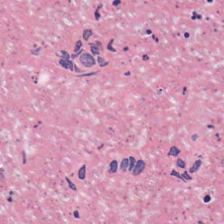Debris.
